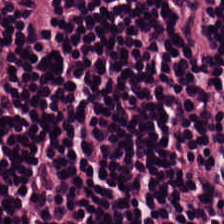Q: What tissue type is shown here?
A: It is lymphocytic infiltrate.
